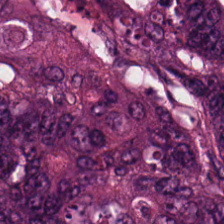H&E.
This patch shows adenocarcinoma.
